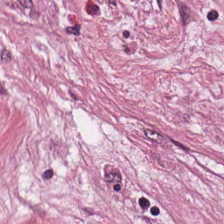0.5 µm/px · H&E stain. Q: What tissue type is shown here?
A: It is tumor-associated stroma.
